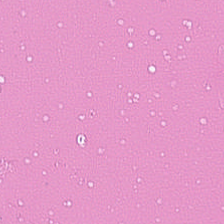Finding → debris.
